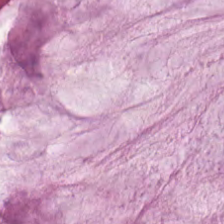0.5 microns per pixel. H&E stain — The tissue here is mucin.
